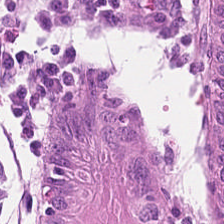Stain: H&E.
Classification: normal colonic mucosa.
